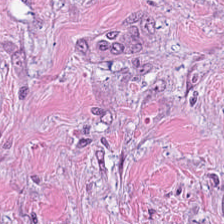224×224 px patch. H&E stain.
Q: What type of tissue is this?
A: The field shows tumor stroma.
